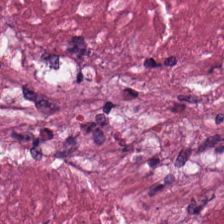Brightfield microscopy · H&E stain.
Tissue: cellular debris.
